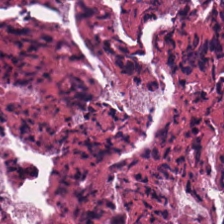FFPE tissue section · hematoxylin-and-eosin stained section. This field is debris.
